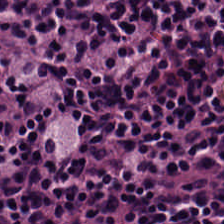Whole-slide-image patch. 224×224 px tile. Hematoxylin and eosin. Tissue class — lymphocyte aggregate.
